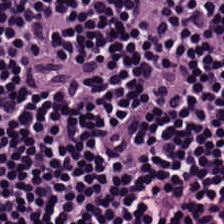Brightfield microscopy · H&E · 224×224 px patch — Tissue type = lymphocytic infiltrate.
